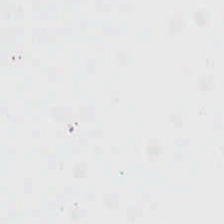Hematoxylin and eosin — Histology → background (no tissue).
